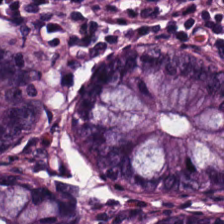H&E-stained tissue section. Showing non-neoplastic colon mucosa.
